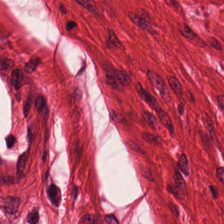H&E. 0.5 µm/px. Impression — smooth muscle.
